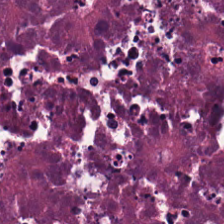WSI patch. H&E-stained tissue section.
Tissue class — necrotic debris.
